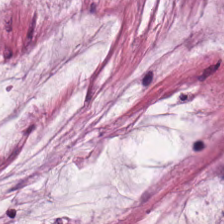H&E. Whole-slide-image patch. 0.5 µm per pixel. The predominant tissue is mucus.
